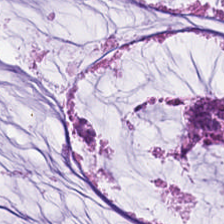Hematoxylin-and-eosin stained section. Formalin-fixed paraffin-embedded section.
Predominantly extracellular mucin.
